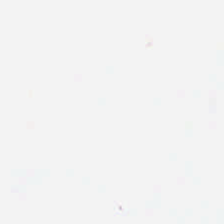H&E stain.
Impression → no tissue.
